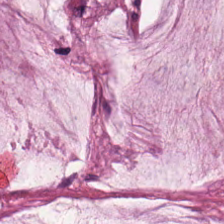FFPE. Hematoxylin and eosin. Whole-slide-image patch.
Tissue type — mucus.
